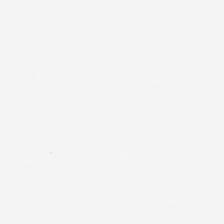H&E stain — Finding — no tissue.
